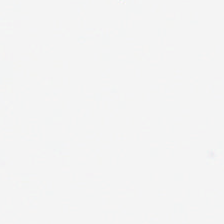Classification: background (no tissue).
